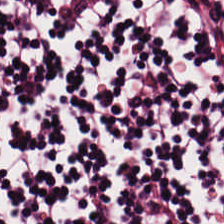Predominant tissue — lymphocyte aggregate.
